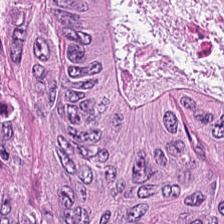H&E-stained tissue section — Predominantly adenocarcinoma.
